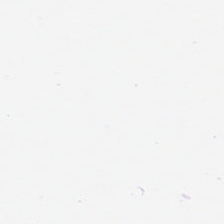H&E — Q: What tissue is shown?
A: Adipocytes.
